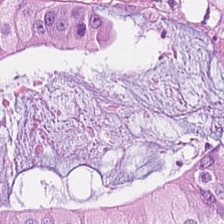Tissue type = colorectal adenocarcinoma epithelium.
